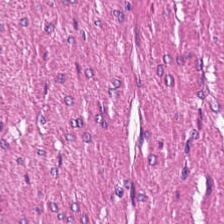Stain: hematoxylin-and-eosin stained section.
Tissue type: smooth muscle.
